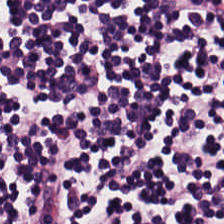0.5 microns per pixel. H&E. Tissue class — lymphoid infiltrate.
